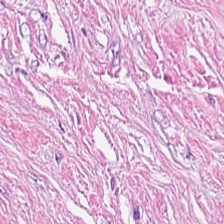Hematoxylin-and-eosin stained section.
Showing desmoplastic stroma.
